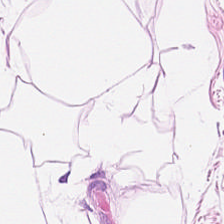224×224 pixel tile; FFPE tissue section; hematoxylin-and-eosin stained section — Finding → adipose.
